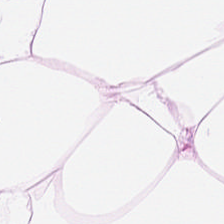The tissue here is adipocytes.
